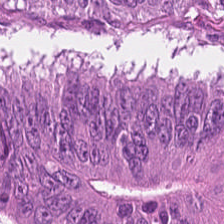Hematoxylin-and-eosin stained section · 0.5 µm/px — Classification — colorectal adenocarcinoma epithelium.
